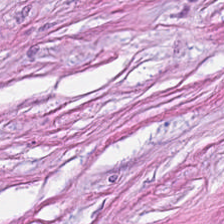H&E-stained tissue section.
Tumor stroma.
